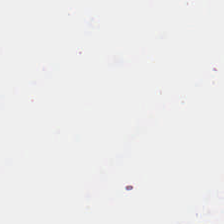Field content: no tissue.
